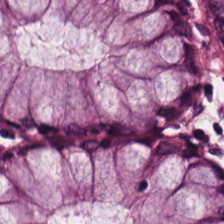Hematoxylin-and-eosin stained section. Tissue class = normal colon mucosa.
